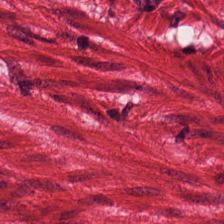H&E. Impression — smooth-muscle tissue.
